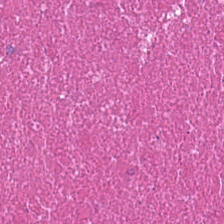H&E-stained tissue section. 224×224 px tile. WSI patch.
Classification: debris.
